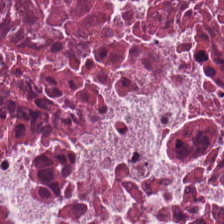Stain: H&E stain.
Tissue class: cellular debris.
